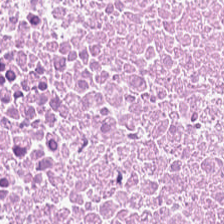Stain: H&E-stained tissue section.
Tissue class: debris.
